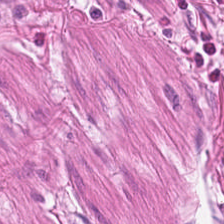H&E stain.
Predominant tissue = smooth-muscle tissue.
